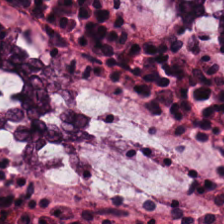Q: What is shown here?
A: It is normal colonic mucosa.
